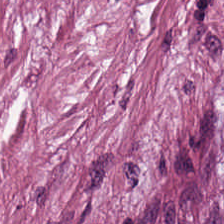Predominantly tumor-associated stroma.
